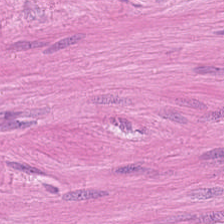H&E — muscularis.
